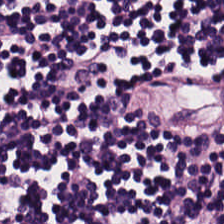Q: What tissue is shown?
A: This is lymphocytes.
